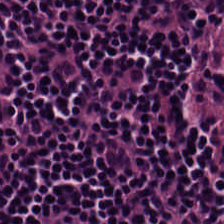Formalin-fixed paraffin-embedded section. H&E-stained tissue section — Impression → lymphocytic infiltrate.
